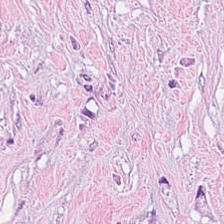Stain: H&E stain.
Classification: cancer-associated stroma.
